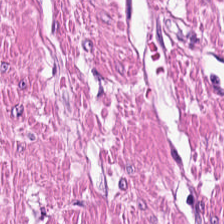Hematoxylin-and-eosin stained section; FFPE tissue section; whole-slide-image patch.
Q: What tissue is shown?
A: Muscularis.
